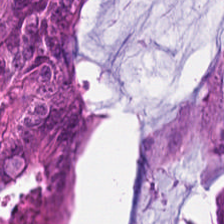H&E-stained tissue section. The predominant tissue is malignant epithelium.
